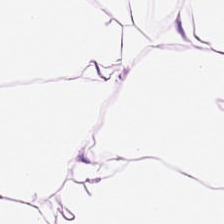224×224 pixel tile; hematoxylin-and-eosin stained section.
Q: What is shown here?
A: Adipocytes.
